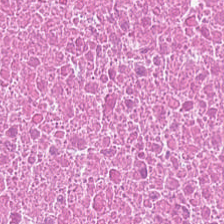H&E stain; 224×224 pixel tile. Q: What tissue type is shown here?
A: The field shows debris.
